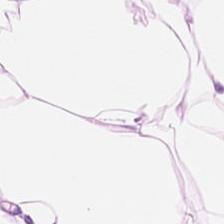0.5 microns per pixel. H&E stain.
Finding — adipose.
